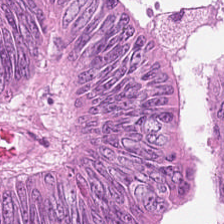Hematoxylin and eosin — Tissue — adenocarcinoma.
